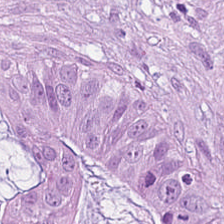Malignant epithelium.
